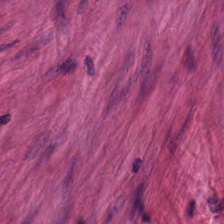H&E-stained tissue section. 0.5 µm per pixel — The tissue here is smooth muscle.
